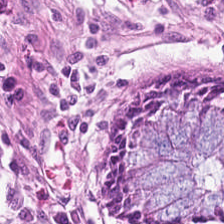0.5 microns per pixel. Brightfield microscopy. Hematoxylin-and-eosin stained section.
Predominantly normal colon mucosa.
